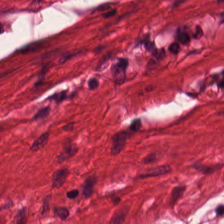Classification = smooth-muscle tissue.
